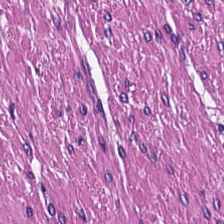Hematoxylin-and-eosin stained section. FFPE. 224×224 px patch. Predominant tissue = smooth muscle.
